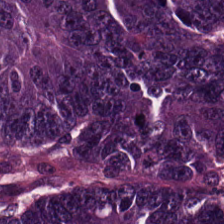H&E patch showing colorectal adenocarcinoma epithelium.
